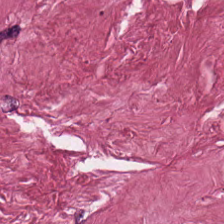{"tissue_type": "tumor-associated stroma"}
